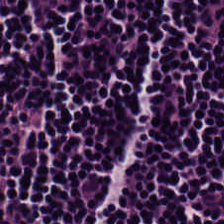The tissue here is lymphoid infiltrate.
